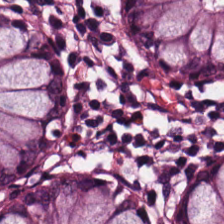H&E; 20× equivalent magnification.
Q: What is shown here?
A: It is normal colonic mucosa.
